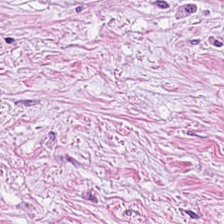20× equivalent magnification; H&E; whole-slide-image patch — Q: What does this patch show?
A: Cancer-associated stroma.
